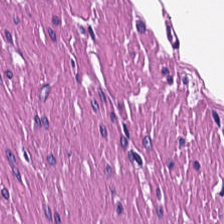H&E-stained tissue section. Q: What is shown here?
A: Smooth muscle.
